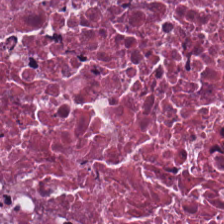224×224 px patch. H&E — Predominantly debris.
